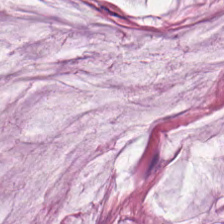Stain: H&E.
Acquisition: brightfield.
Classification: mucus.
